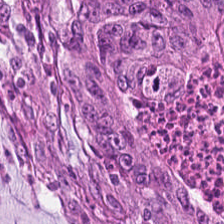H&E-stained tissue section — Q: What tissue is shown?
A: Malignant epithelium.
